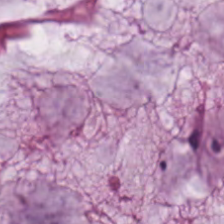WSI patch · H&E-stained tissue section.
{"tissue_type": "extracellular mucin"}
